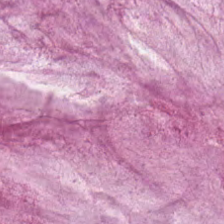H&E stain. Brightfield microscopy — This field is extracellular mucin.
